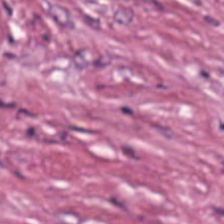0.5 microns per pixel. Whole-slide-image patch. H&E. Classification = tumor-associated stroma.
